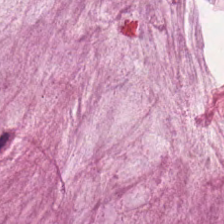Stain: H&E.
Tissue type: mucin.
